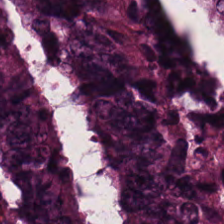H&E-stained tissue section.
Tissue type — tumor epithelium.
